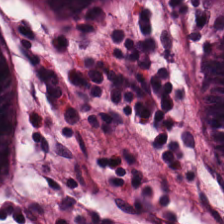H&E-stained tissue section. Finding — non-neoplastic colon mucosa.
